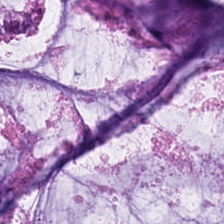Classification — mucus.
